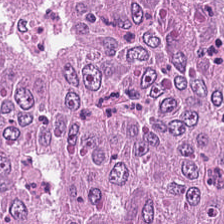H&E-stained tissue section. Showing colorectal adenocarcinoma.
